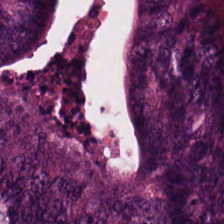FFPE tissue section; 224×224 pixel tile; H&E.
Q: What is shown in this field?
A: Adenocarcinoma.
